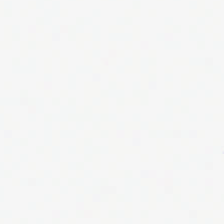Hematoxylin and eosin.
Classification: empty background.
